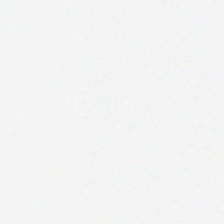H&E-stained tissue section.
No tissue.
